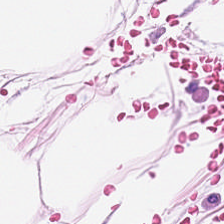H&E stain · brightfield microscopy — Tissue = adipose.
